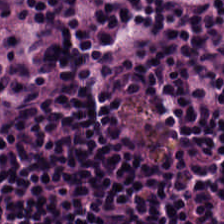Stain: hematoxylin-and-eosin stained section.
Tissue type: lymphocytes.
